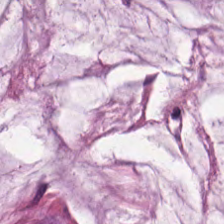Hematoxylin-and-eosin stained section — Showing mucin.
